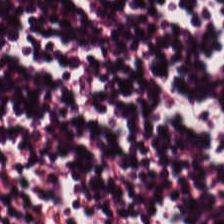H&E — lymphocytes.
